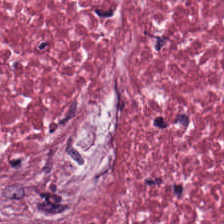Q: What is the predominant tissue type?
A: This is desmoplastic stroma.
